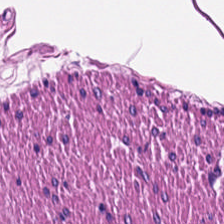Hematoxylin-and-eosin stained section. Formalin-fixed paraffin-embedded section.
Predominantly smooth-muscle tissue.
